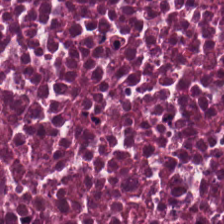Predominant tissue: necrotic debris.
